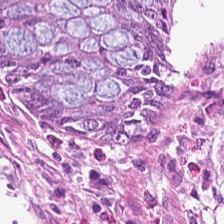0.5 µm per pixel. H&E — The tissue here is normal colonic mucosa.
